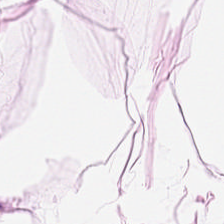Hematoxylin-and-eosin stained section · 224×224 px patch. This patch shows adipocytes.
